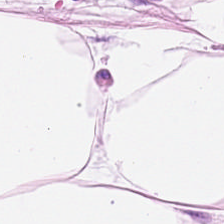224×224 px patch · 0.5 microns per pixel · hematoxylin and eosin.
The predominant tissue is adipocytes.
